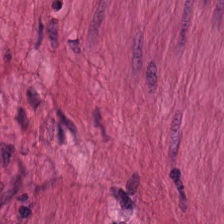Q: What tissue is shown?
A: Muscularis.
